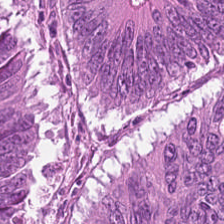H&E patch showing colorectal adenocarcinoma epithelium.
